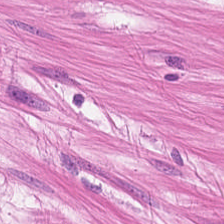Predominant tissue = smooth-muscle tissue.
